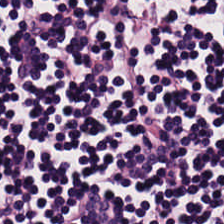This field is lymphoid infiltrate.
